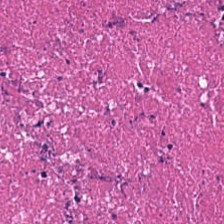Hematoxylin-and-eosin stained section; brightfield — This patch shows debris.
